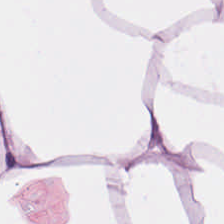Brightfield microscopy. H&E. FFPE tissue section — Q: What is the predominant tissue type?
A: The field shows adipocytes.
